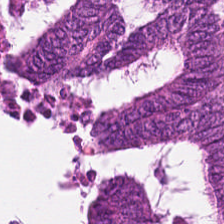Brightfield · H&E · FFPE tissue section. Q: What type of tissue is this?
A: This is colorectal adenocarcinoma.
